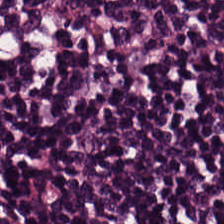H&E — Q: Classify this patch.
A: Lymphoid infiltrate.
